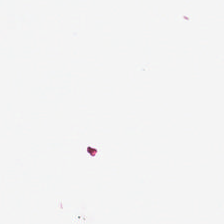H&E-stained tissue section. No tissue present; background only.
